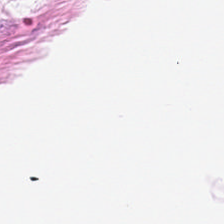Hematoxylin-and-eosin stained section.
Impression — fat tissue.
